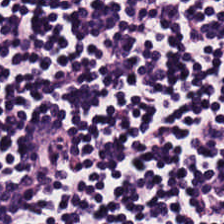Tissue class — lymphoid infiltrate.
